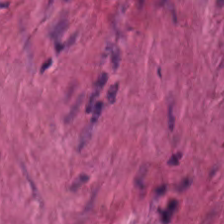Stain: H&E.
Acquisition: whole-slide-image patch.
Tile size: 224×224 px patch.
Tissue type: smooth muscle.
